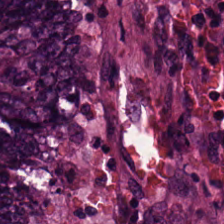The predominant tissue is colorectal adenocarcinoma epithelium.
